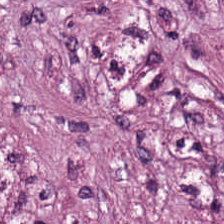Hematoxylin and eosin. Tissue = cancer-associated stroma.
